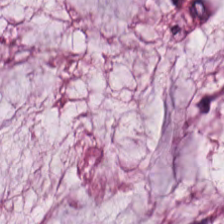Hematoxylin and eosin · 224×224 pixel tile · formalin-fixed paraffin-embedded section — Finding — mucin.
